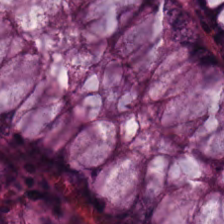H&E-stained tissue section showing non-neoplastic colon mucosa.
